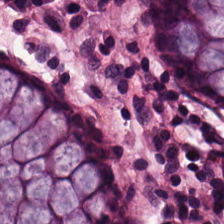H&E stain.
Q: Identify the tissue.
A: It is benign colonic mucosa.
